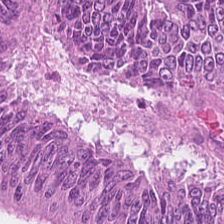Tissue class: colorectal adenocarcinoma epithelium.
